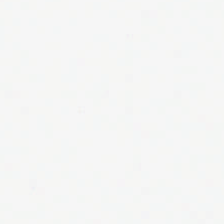H&E-stained tissue section · brightfield.
This field is background (no tissue).
